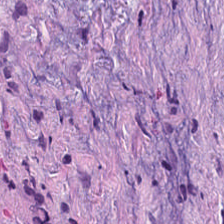Tissue class — tumor stroma.
